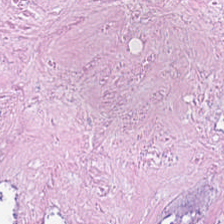Cellular debris.
